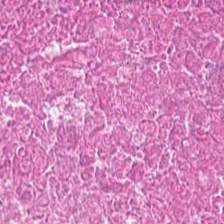H&E — debris.
